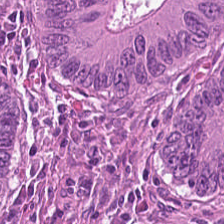H&E patch showing malignant epithelium.
